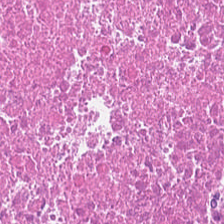{"tissue_type": "necrotic debris"}
